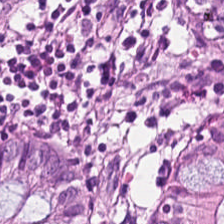Brightfield microscopy. Hematoxylin-and-eosin stained section — Q: What is the predominant tissue type?
A: This is benign colonic mucosa.
